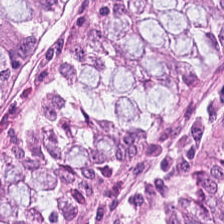H&E — normal colonic mucosa.
